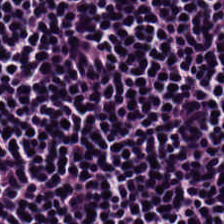Tissue type = lymphocytes.
